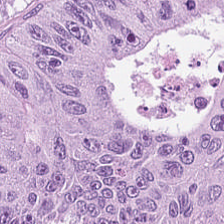Stain: H&E.
Resolution: 20× equivalent magnification.
Tissue: malignant epithelium.
